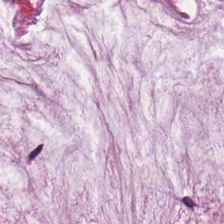H&E-stained tissue section — Mucus.
